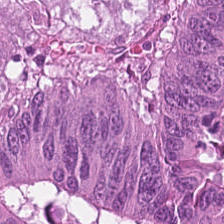FFPE. H&E. 20× equivalent magnification. Q: Identify the tissue.
A: Tumor epithelium.
